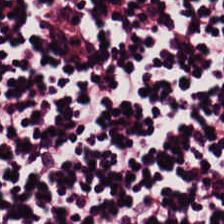This field is lymphocytic infiltrate.
